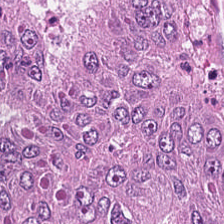Stain: H&E stain.
Preparation: FFPE tissue section.
Acquisition: WSI patch.
Classification: colorectal adenocarcinoma epithelium.
